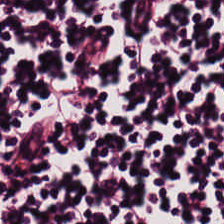WSI patch · H&E stain — The tissue here is lymphocyte aggregate.
